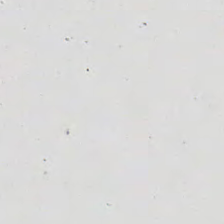224×224 pixel tile. H&E stain. Q: What does this patch show?
A: It is background (no tissue).
